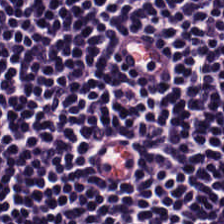H&E.
The tissue here is lymphocytic infiltrate.
